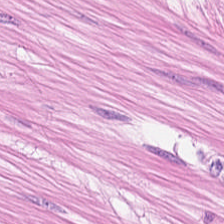H&E — muscularis.
